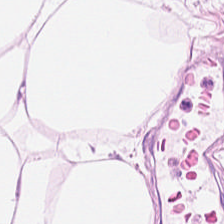Q: What is shown here?
A: This is fat tissue.
